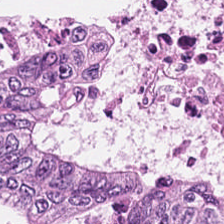H&E stain. This patch shows tumor epithelium.
